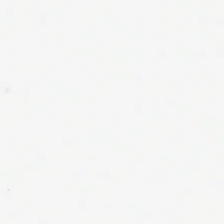Classification = background.
